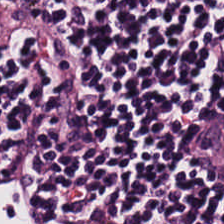H&E — The predominant tissue is lymphocytes.
